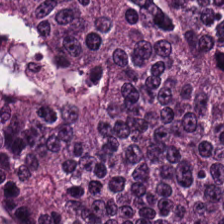Hematoxylin-and-eosin stained section; FFPE; 224×224 pixel tile.
Tissue class: adenocarcinoma.
